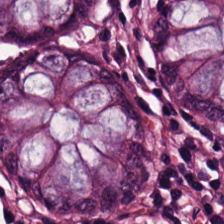Q: Identify the tissue.
A: Benign colonic mucosa.
